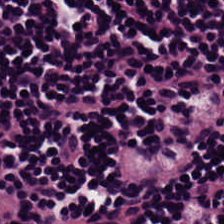H&E stain. Predominantly lymphocyte aggregate.
